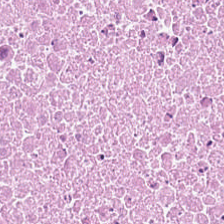20× equivalent magnification. Whole-slide-image patch. H&E — Q: What tissue type is shown here?
A: Necrotic debris.
